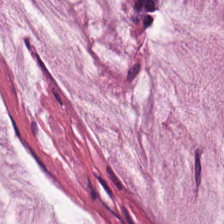FFPE tissue section. H&E-stained tissue section. Mucus.
